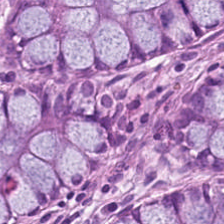Stain: H&E stain.
Predominant tissue: normal colon mucosa.
